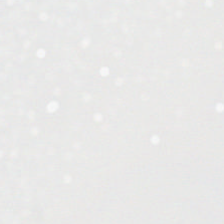H&E-stained tissue section — Impression → empty background.
